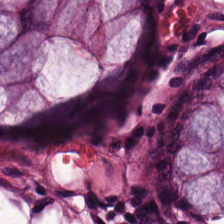Q: What is shown in this field?
A: The field shows normal colonic mucosa.
